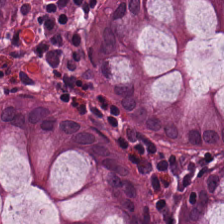FFPE tissue section; 0.5 microns per pixel; H&E stain. Predominant tissue = normal colon mucosa.
